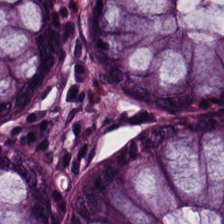WSI patch. H&E — Normal colonic mucosa.
